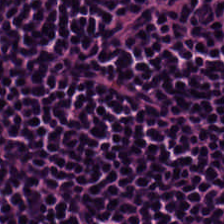Q: What tissue type is shown here?
A: This is lymphocytes.
